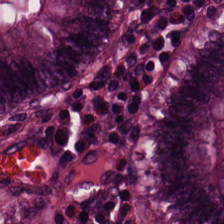20× equivalent magnification. Brightfield. Hematoxylin and eosin. Q: What tissue is shown?
A: The field shows normal colonic mucosa.
